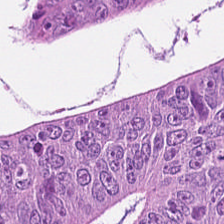Hematoxylin-and-eosin stained section · 0.5 µm/px · brightfield microscopy.
Predominant tissue — colorectal adenocarcinoma epithelium.
